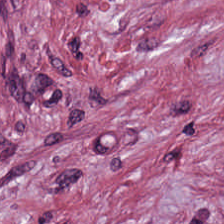Q: What tissue is shown?
A: This is tumor stroma.
